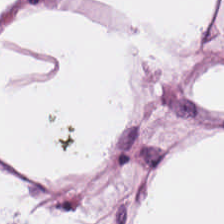H&E-stained tissue section.
Tissue class = fat tissue.
